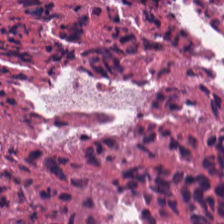Brightfield microscopy · hematoxylin-and-eosin stained section — This patch shows debris.
